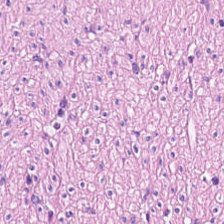Stain: H&E-stained tissue section.
Tile size: 224×224 px patch.
Acquisition: brightfield microscopy.
Tissue class: smooth-muscle tissue.
